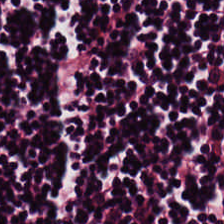H&E. This field is lymphocytic infiltrate.
